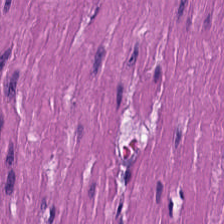H&E — Tissue type = smooth-muscle tissue.
